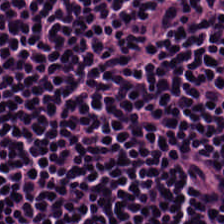Tissue class: lymphocyte aggregate.
